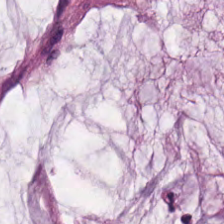The predominant tissue is extracellular mucin.
